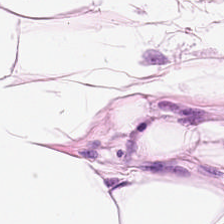H&E.
This field is adipose tissue.
